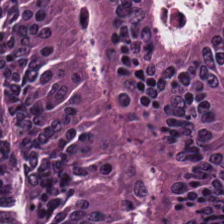Hematoxylin and eosin — This field is colorectal adenocarcinoma.
